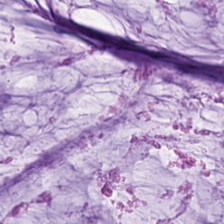20× equivalent magnification · H&E-stained tissue section. The predominant tissue is mucin.
